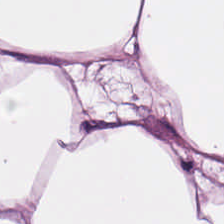H&E stain · formalin-fixed paraffin-embedded section · 20× equivalent magnification.
Adipose.
